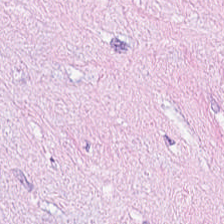H&E.
The tissue here is cancer-associated stroma.
